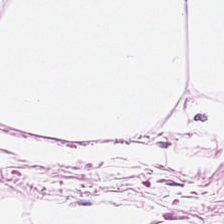H&E-stained tissue section. Tissue class — adipocytes.
